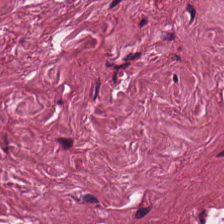H&E-stained tissue section.
This patch shows tumor stroma.
